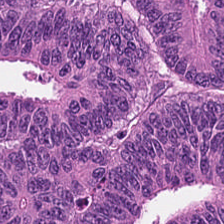Hematoxylin-and-eosin stained section — Showing malignant epithelium.
